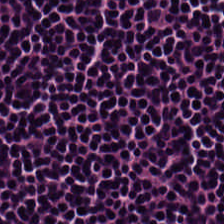Brightfield microscopy; H&E stain.
{"tissue_type": "lymphocytes"}
